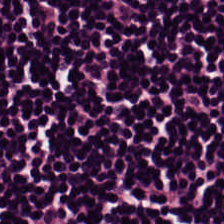Classification = lymphocytic infiltrate.
